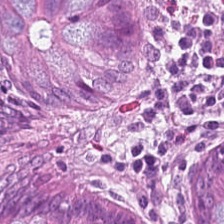Hematoxylin and eosin · whole-slide-image patch.
Tissue type = normal colonic mucosa.
